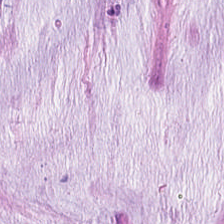Hematoxylin-and-eosin stained section.
The tissue is mucin.
